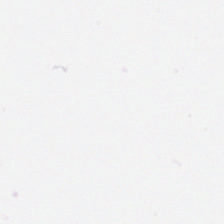FFPE tissue section. 224×224 pixel tile. H&E stain — Content — empty background.
